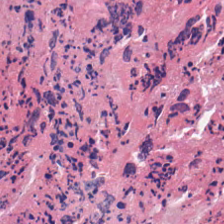H&E · 224×224 pixel tile · 20× equivalent magnification. The tissue type is debris.
